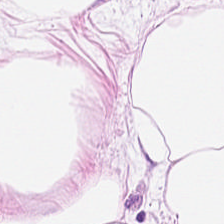Brightfield microscopy. H&E stain — Tissue type = adipocytes.
